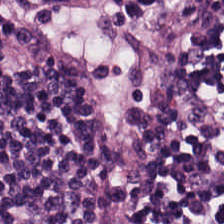Hematoxylin-and-eosin stained section. Impression → lymphocyte aggregate.
